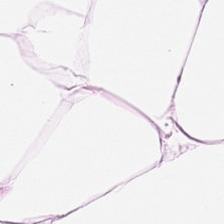H&E-stained tissue section. Predominant tissue — adipocytes.
